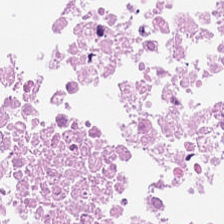Hematoxylin-and-eosin stained section. This field is cellular debris.
